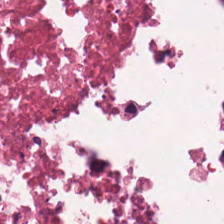Hematoxylin and eosin.
Q: What is the predominant tissue type?
A: It is cellular debris.
